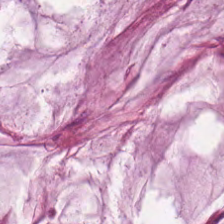H&E-stained tissue section — Showing extracellular mucin.
